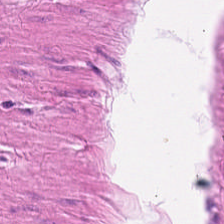Stain: H&E stain.
Acquisition: brightfield.
Resolution: 0.5 microns per pixel.
Tissue type: smooth-muscle tissue.
